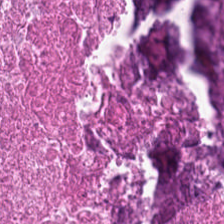Tissue class = necrotic debris.
